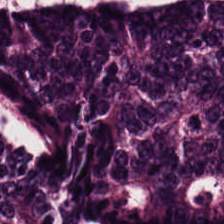Hematoxylin-and-eosin stained section; 224×224 px patch — Finding — colorectal adenocarcinoma epithelium.
